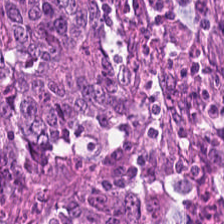Tissue: adenocarcinoma.
